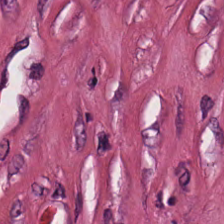Stain: H&E-stained tissue section.
Tissue class: cancer-associated stroma.
